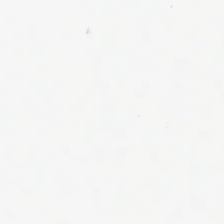This field is background (no tissue).
